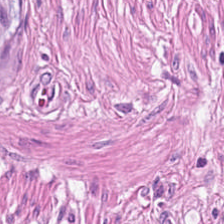224×224 px tile; H&E-stained tissue section.
Smooth-muscle tissue.
